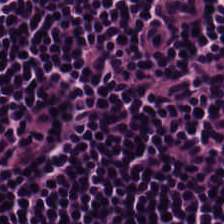224×224 px tile; H&E-stained tissue section; 20× equivalent magnification — Q: Classify this patch.
A: It is lymphocytic infiltrate.
